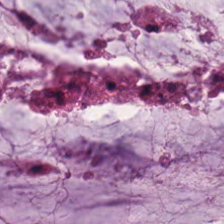H&E.
Extracellular mucin.
